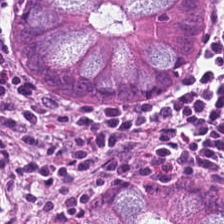Tissue = normal colonic mucosa.
